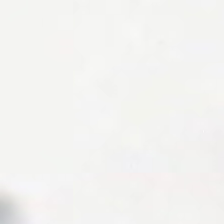FFPE · hematoxylin-and-eosin stained section. Histology — empty background.
